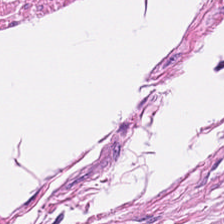Hematoxylin and eosin. Impression — smooth muscle.
